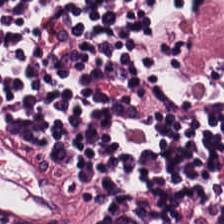Predominant tissue: lymphocytes.
